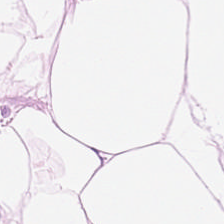H&E stain; whole-slide-image patch.
The predominant tissue is adipocytes.
